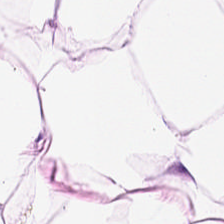Hematoxylin-and-eosin stained section. Predominant tissue = adipocytes.
